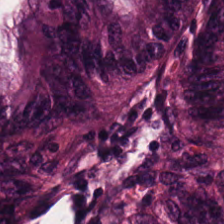Hematoxylin-and-eosin stained section. Adenocarcinoma.
